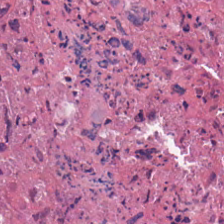Hematoxylin and eosin. 20× equivalent magnification.
{"tissue_type": "necrotic debris"}
